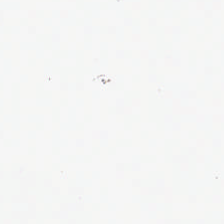Hematoxylin-and-eosin stained section. 224×224 px tile — Classification = no tissue.
